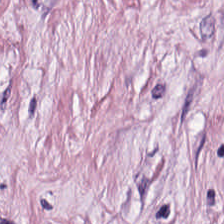H&E stain.
Q: What is the predominant tissue type?
A: This is tumor stroma.
